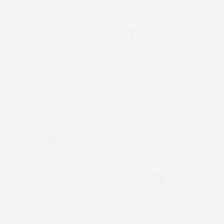H&E. This field is background (no tissue).
